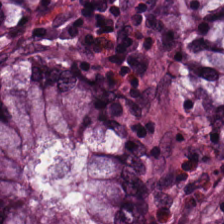20× equivalent magnification; H&E — Classification — normal colon mucosa.
